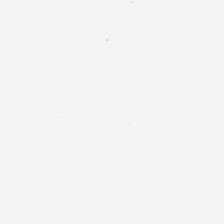H&E-stained tissue section.
This field is background (no tissue).
